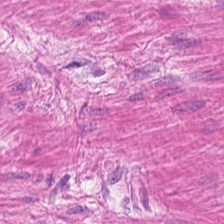Hematoxylin and eosin — Tissue type — smooth-muscle tissue.
